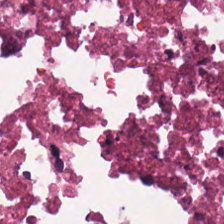H&E-stained tissue section.
Q: What is the predominant tissue type?
A: The field shows cellular debris.
